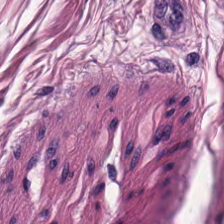Whole-slide-image patch · H&E — The tissue here is smooth muscle.
